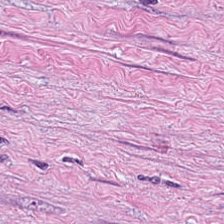Stain: H&E.
Tissue: desmoplastic stroma.
